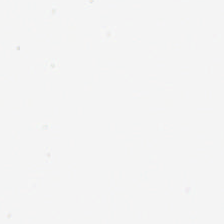This patch shows no tissue.
